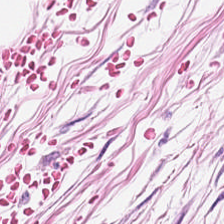H&E-stained tissue section · WSI patch · FFPE — Predominantly adipocytes.
